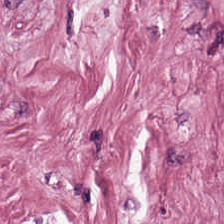FFPE tissue section · 224×224 px tile · H&E-stained tissue section. Predominantly tumor stroma.
